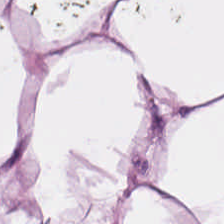H&E stain · FFPE · 224×224 px tile — The predominant tissue is adipose.
